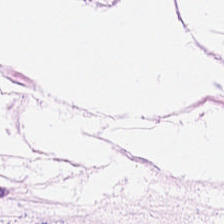Whole-slide-image patch. 0.5 µm/px. Hematoxylin-and-eosin stained section. Adipose tissue.
